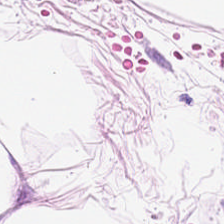Brightfield. 224×224 px tile. Hematoxylin-and-eosin stained section.
{"tissue_type": "adipocytes"}
